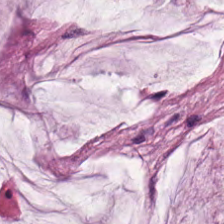224×224 px tile · H&E-stained tissue section. The tissue here is mucin.
